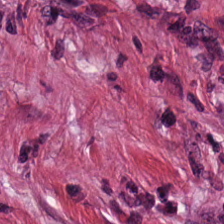H&E stain; 0.5 µm/px; 224×224 px tile — This patch shows desmoplastic stroma.
